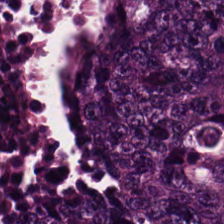Hematoxylin and eosin · WSI patch — Tissue class — colorectal adenocarcinoma epithelium.
